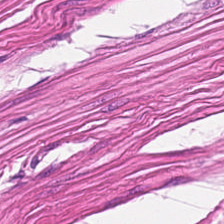H&E · FFPE — The classification is smooth muscle.
